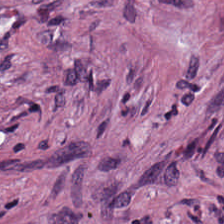Hematoxylin-and-eosin stained section · 224×224 px patch.
Q: What type of tissue is this?
A: Cancer-associated stroma.
